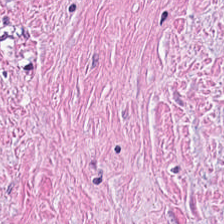H&E stain; 0.5 microns per pixel.
The predominant tissue is tumor stroma.
